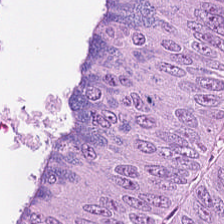H&E stain — Histology → colorectal adenocarcinoma.
